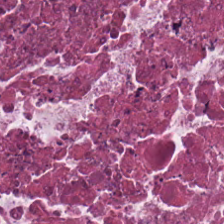Q: Identify the tissue.
A: The field shows necrotic debris.
